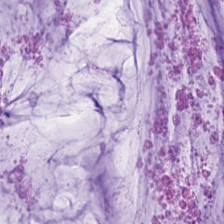H&E; brightfield. Mucin.
